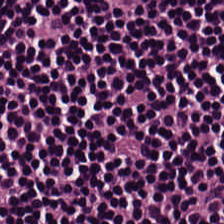H&E stain · 0.5 µm per pixel. The tissue here is lymphocyte aggregate.
